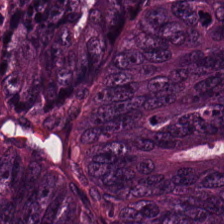Hematoxylin-and-eosin stained section — Q: What does this patch show?
A: Tumor epithelium.
